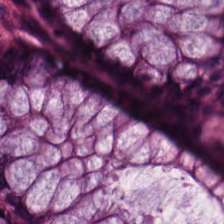H&E-stained tissue section; brightfield microscopy.
Q: What is shown here?
A: The field shows normal colonic mucosa.
